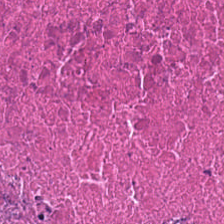Stain: H&E-stained tissue section.
Tissue class: necrotic debris.
